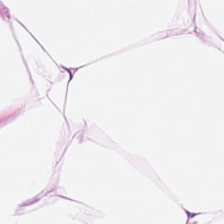Hematoxylin-and-eosin section: adipose tissue.
